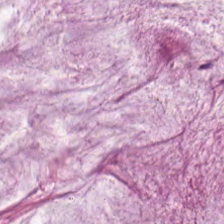Predominant tissue = mucus.
